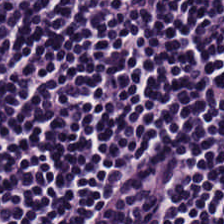H&E-stained tissue section; 224×224 px tile; 20× equivalent magnification. Impression — lymphocyte aggregate.
